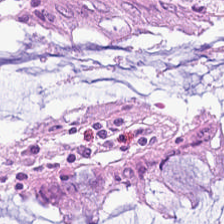Hematoxylin and eosin — The predominant tissue is normal colonic mucosa.
